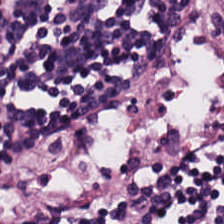Brightfield microscopy; H&E-stained tissue section — Predominantly lymphoid infiltrate.
